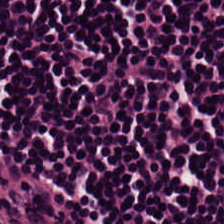Brightfield microscopy · H&E-stained tissue section. Tissue — lymphoid infiltrate.
